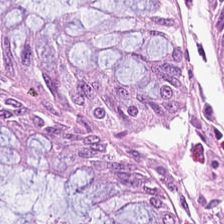WSI patch. H&E. Impression → benign colonic mucosa.
